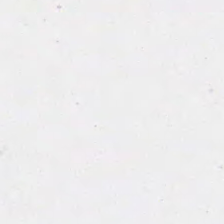H&E stain.
{"content": "empty background"}
